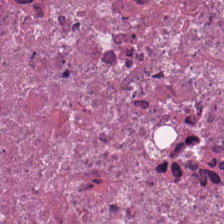This field is necrotic debris.
